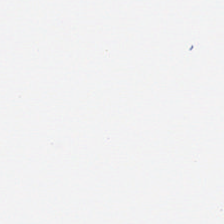Hematoxylin-and-eosin stained section.
Field content = background.
